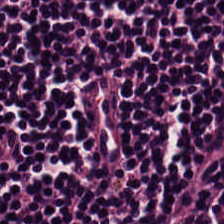Stain: H&E.
Acquisition: brightfield.
Tile size: 224×224 px patch.
Tissue type: lymphocytes.
